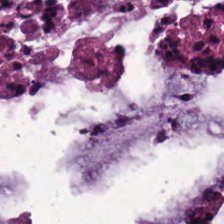FFPE. H&E stain — Q: What type of tissue is this?
A: The field shows extracellular mucin.
